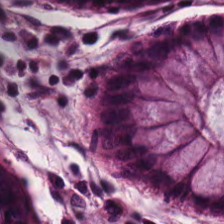{"tissue_type": "benign colonic mucosa"}
